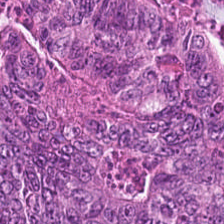Stain: H&E stain.
Predominant tissue: adenocarcinoma.
